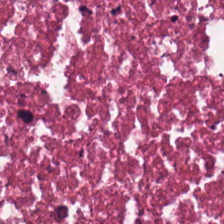0.5 µm/px. H&E-stained tissue section. FFPE — The tissue here is necrotic debris.
